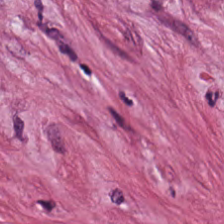H&E-stained tissue section.
The tissue class is desmoplastic stroma.
